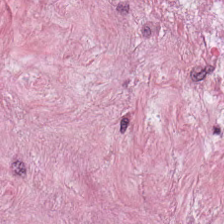H&E. This field is cancer-associated stroma.
